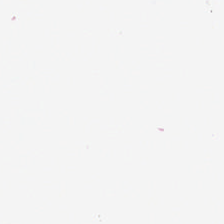H&E-stained tissue section — This patch shows background.
